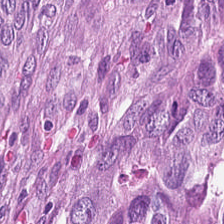Stain: H&E.
Predominant tissue: colorectal adenocarcinoma.
